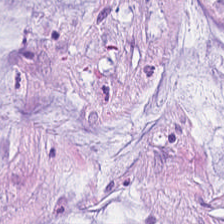The predominant tissue is mucin.
